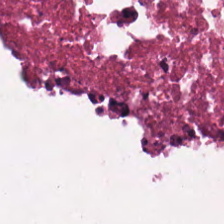Hematoxylin-and-eosin stained section — Tissue class — debris.
